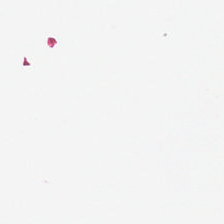Hematoxylin and eosin; whole-slide-image patch — Content: background.
